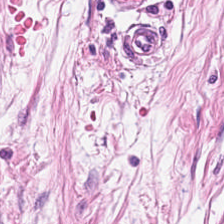Hematoxylin and eosin. Q: What type of tissue is this?
A: The field shows tumor-associated stroma.
